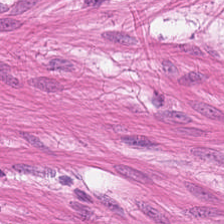224×224 px patch. Hematoxylin-and-eosin stained section. Whole-slide-image patch — Finding — smooth-muscle tissue.
